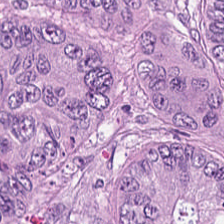Hematoxylin and eosin. Brightfield microscopy. This field is malignant epithelium.
